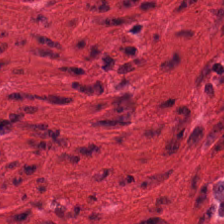Hematoxylin-and-eosin stained section.
This field is smooth muscle.
